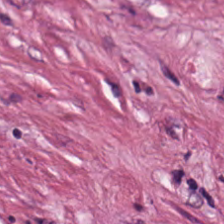H&E. This patch shows tumor stroma.
